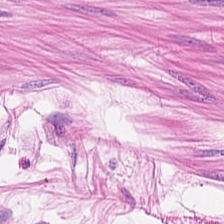Classification — smooth-muscle tissue.
